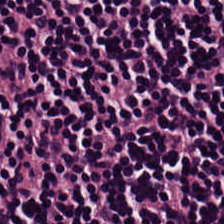Q: What type of tissue is this?
A: The field shows lymphocyte aggregate.
